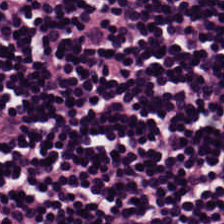FFPE tissue section; hematoxylin-and-eosin stained section.
Predominant tissue — lymphocyte aggregate.
